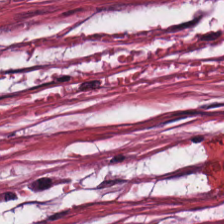Hematoxylin and eosin — The predominant tissue is tumor-associated stroma.
